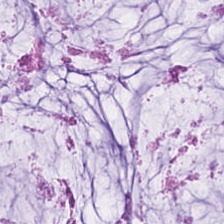Hematoxylin-and-eosin stained section. FFPE tissue section. 0.5 µm per pixel. Q: Identify the tissue.
A: Mucus.
